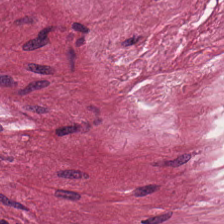Hematoxylin and eosin.
Tissue — cancer-associated stroma.
